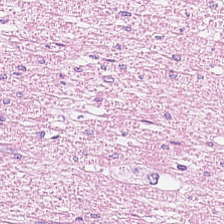Hematoxylin and eosin.
Q: What tissue is shown?
A: It is smooth-muscle tissue.
